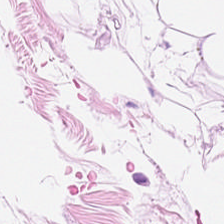0.5 µm/px; H&E-stained tissue section; brightfield microscopy. Fat tissue.
